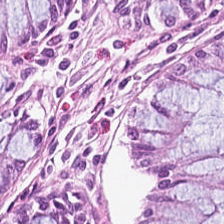H&E. 0.5 µm/px. Tissue — benign colonic mucosa.
